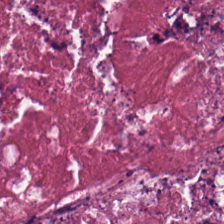Whole-slide-image patch; H&E — The predominant tissue is necrotic debris.
